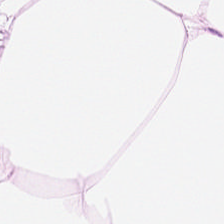Stain: H&E-stained tissue section.
Classification: adipose.
